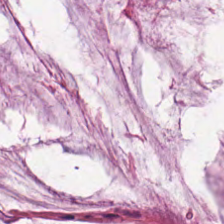Hematoxylin-and-eosin stained section · 0.5 microns per pixel. This field is extracellular mucin.
